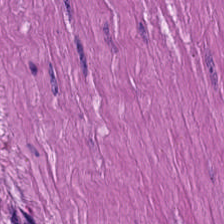Q: What tissue is shown?
A: The field shows smooth muscle.
